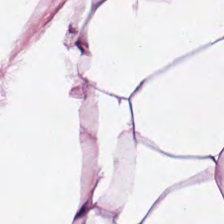Stain: H&E.
Preparation: FFPE tissue section.
Tissue: fat tissue.
